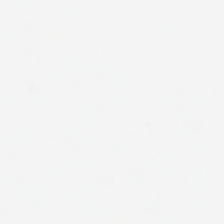Empty field — no tissue.
